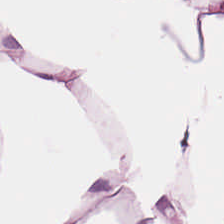H&E-stained tissue section. Tissue: adipocytes.
